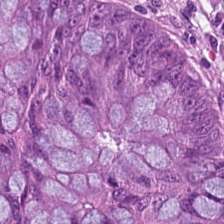Q: What is shown in this field?
A: The field shows malignant epithelium.
